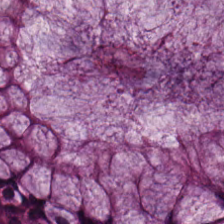Hematoxylin-and-eosin stained section; 0.5 µm per pixel; FFPE tissue section.
Predominant tissue = non-neoplastic colon mucosa.
